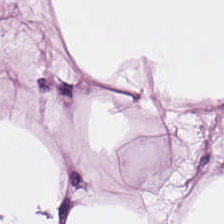0.5 µm per pixel. 224×224 px tile. H&E-stained tissue section.
Predominant tissue: adipose.
